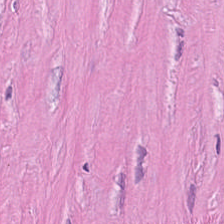Stain: H&E.
Acquisition: whole-slide-image patch.
Preparation: formalin-fixed paraffin-embedded section.
Tissue class: tumor stroma.
